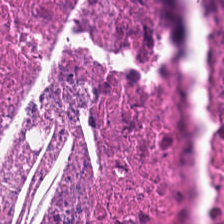Brightfield microscopy · FFPE · hematoxylin and eosin.
The tissue here is necrotic debris.
